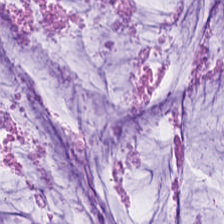H&E — The predominant tissue is extracellular mucin.
